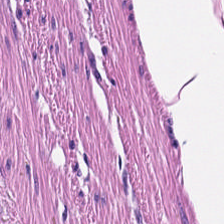20× equivalent magnification; hematoxylin and eosin; 224×224 pixel tile. The tissue type is muscularis.
